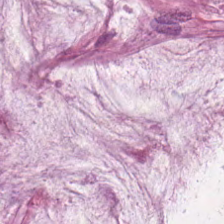H&E · formalin-fixed paraffin-embedded section · 0.5 microns per pixel.
Q: What is the predominant tissue type?
A: It is extracellular mucin.
